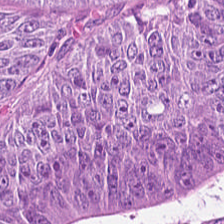This patch shows colorectal adenocarcinoma.
